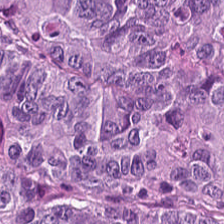H&E-stained tissue section. Finding — colorectal adenocarcinoma.
